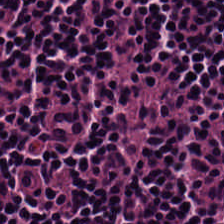20× equivalent magnification; 224×224 px tile; H&E-stained tissue section.
Classification = lymphocytic infiltrate.
